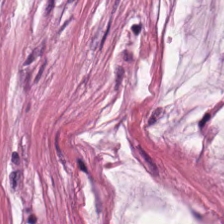Q: Classify this patch.
A: This is mucin.
